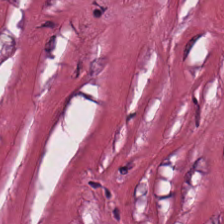H&E stain. Finding → tumor-associated stroma.
